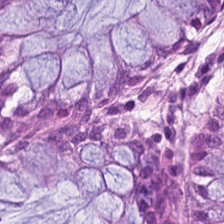Hematoxylin and eosin.
Q: Classify this patch.
A: It is non-neoplastic colon mucosa.
